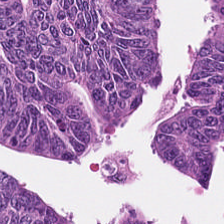224×224 px tile · H&E. Classification — malignant epithelium.
